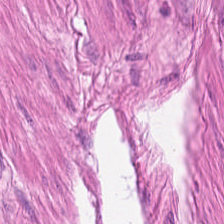Hematoxylin-and-eosin stained section — Showing smooth muscle.
